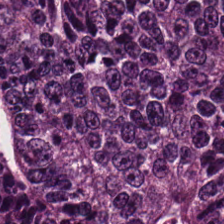224×224 px tile; hematoxylin-and-eosin stained section. Histology — colorectal adenocarcinoma epithelium.
